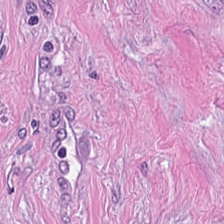Desmoplastic stroma.
